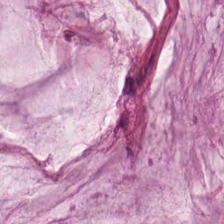Impression → mucin.
